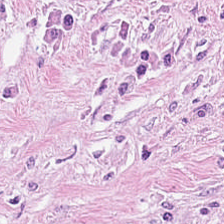H&E stain — Tissue: tumor stroma.
